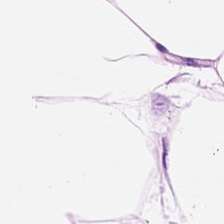H&E stain — The predominant tissue is fat tissue.
